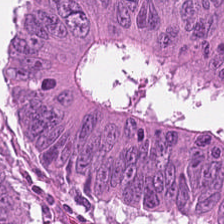WSI patch · H&E — Predominant tissue — colorectal adenocarcinoma.
